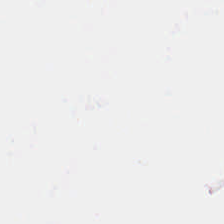The field content is no tissue.
